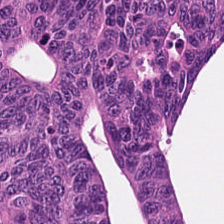Hematoxylin-and-eosin stained section · 224×224 pixel tile — Histology — malignant epithelium.
